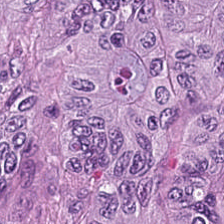Tissue type = malignant epithelium.
